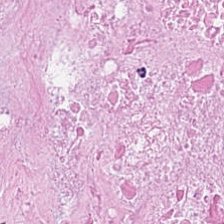Hematoxylin and eosin. The predominant tissue is debris.
